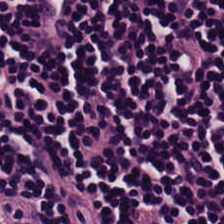FFPE. H&E-stained tissue section — {"tissue_type": "lymphoid infiltrate"}
